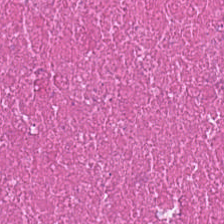Formalin-fixed paraffin-embedded section · WSI patch · hematoxylin and eosin. The predominant tissue is cellular debris.
